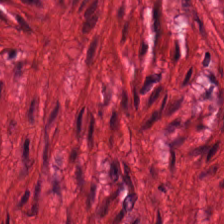H&E. Finding — smooth muscle.
